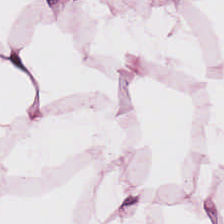H&E stain — Classification — adipose.
